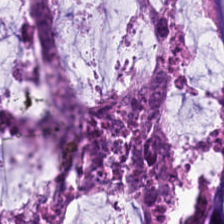0.5 microns per pixel; H&E stain — Histology — extracellular mucin.
